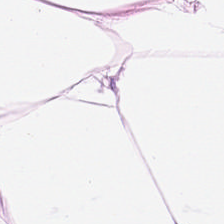H&E stain.
Classification — adipocytes.
